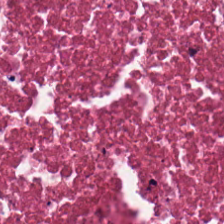Brightfield microscopy · hematoxylin-and-eosin stained section. The tissue here is cellular debris.
